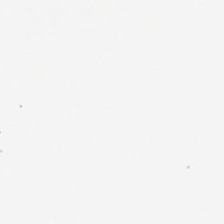H&E-stained tissue section. Field content — no tissue.
